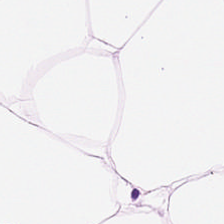Brightfield · H&E. The classification is adipocytes.
